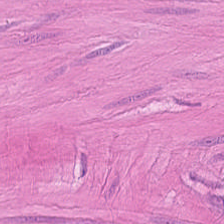224×224 px tile; hematoxylin and eosin. Q: Identify the tissue.
A: This is smooth-muscle tissue.
